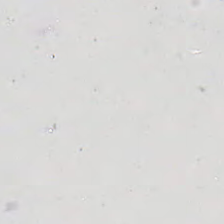H&E stain. 20× equivalent magnification. 224×224 pixel tile — This patch shows background.
